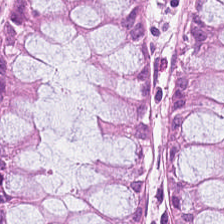0.5 µm per pixel. Hematoxylin and eosin. Tissue type — normal colonic mucosa.
